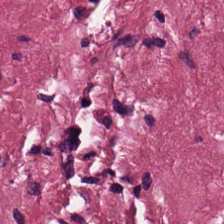Predominant tissue = cancer-associated stroma.
